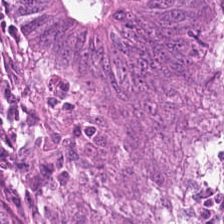H&E stain · 0.5 microns per pixel.
Predominantly colorectal adenocarcinoma epithelium.
